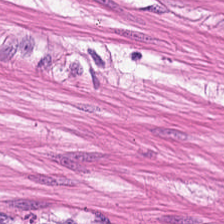224×224 px tile. H&E stain. Brightfield microscopy.
Showing muscularis.
